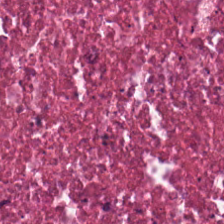The tissue here is debris.
